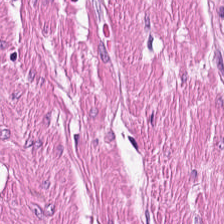Stain: H&E.
Classification: smooth muscle.
